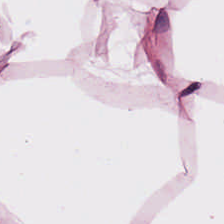Classification = adipose tissue.
